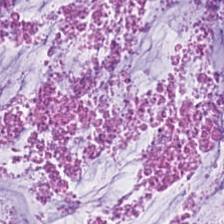H&E stain. FFPE tissue section. 224×224 pixel tile. Q: What is the predominant tissue type?
A: It is extracellular mucin.
